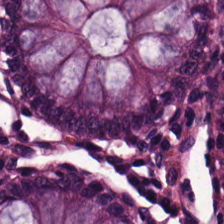Stain: hematoxylin-and-eosin stained section.
Predominant tissue: non-neoplastic colon mucosa.
